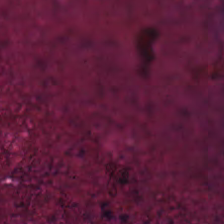Stain: H&E.
Predominant tissue: necrotic debris.
